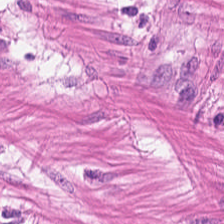Stain: hematoxylin and eosin.
Tissue: muscularis.
